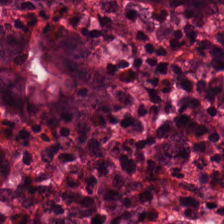WSI patch. H&E.
The predominant tissue is benign colonic mucosa.
